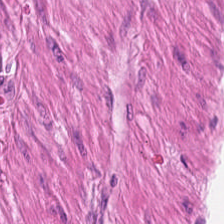Stain: H&E.
Resolution: 0.5 microns per pixel.
Predominant tissue: smooth muscle.
